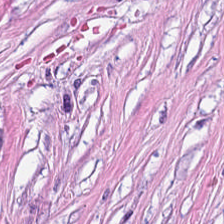Impression → tumor-associated stroma.
